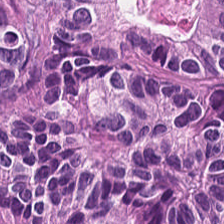H&E stain. Predominant tissue: colorectal adenocarcinoma epithelium.
